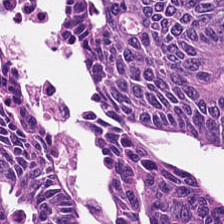Hematoxylin-and-eosin stained section. The predominant tissue is colorectal adenocarcinoma epithelium.
